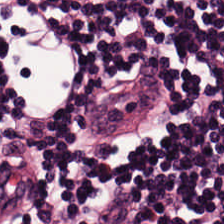Predominant tissue: lymphocytic infiltrate.
